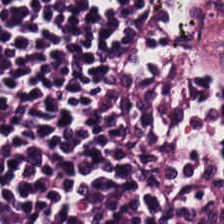Predominant tissue — lymphoid infiltrate.
